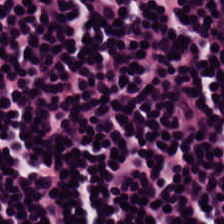H&E · 0.5 microns per pixel. Q: Identify the tissue.
A: Lymphocyte aggregate.
